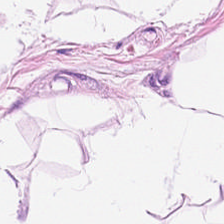Finding → adipose.
